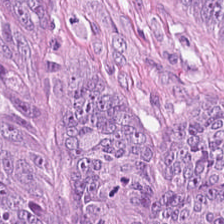H&E-stained tissue section. Formalin-fixed paraffin-embedded section. Brightfield microscopy. Tissue class = colorectal adenocarcinoma epithelium.
